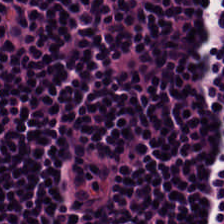H&E — The tissue here is lymphocytic infiltrate.
